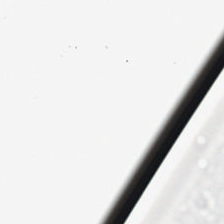Q: What does this patch show?
A: The field shows no tissue.
